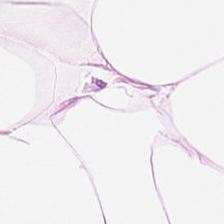H&E stain.
Finding — adipocytes.
